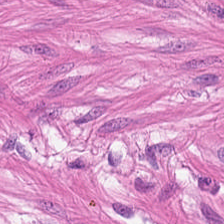Smooth-muscle tissue.
